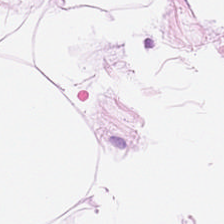0.5 microns per pixel · H&E-stained tissue section — Showing adipose.
